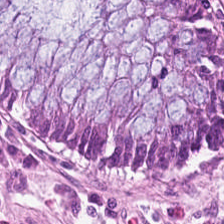H&E stain — Tissue type: non-neoplastic colon mucosa.
